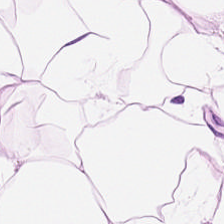H&E-stained tissue section — This field is adipose.
